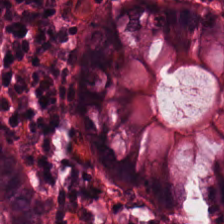H&E — benign colonic mucosa.
